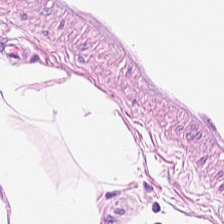H&E-stained tissue section.
{"tissue_type": "adipocytes"}
